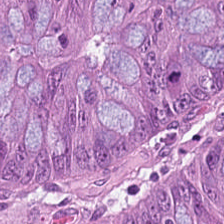Brightfield; 0.5 µm/px; hematoxylin and eosin. Predominantly tumor epithelium.
